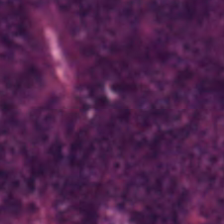224×224 px tile; hematoxylin and eosin; 0.5 microns per pixel — Q: Classify this patch.
A: This is malignant epithelium.
